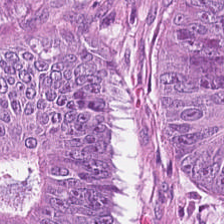Hematoxylin and eosin — The tissue here is adenocarcinoma.
